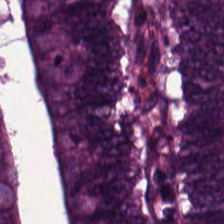Stain: H&E stain.
Acquisition: brightfield.
Resolution: 0.5 microns per pixel.
Tissue: tumor epithelium.
